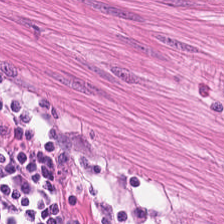H&E-stained tissue section. Classification — smooth-muscle tissue.
